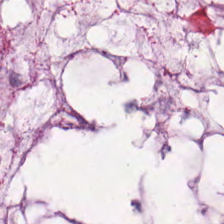H&E-stained tissue section. Finding — mucus.
